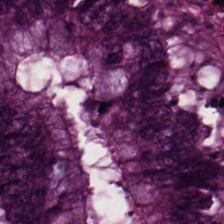Histology — normal colonic mucosa.
